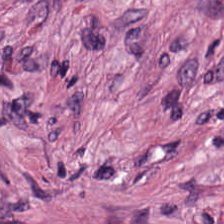Hematoxylin and eosin. Tissue type: tumor stroma.
